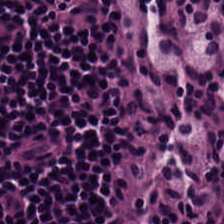H&E-stained tissue section · brightfield microscopy.
The predominant tissue is lymphocytic infiltrate.
